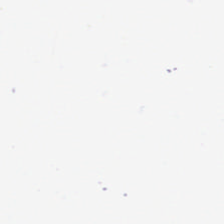H&E — Q: Classify this patch.
A: The field shows empty background.
